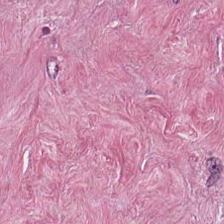H&E-stained section; the field shows cancer-associated stroma.
